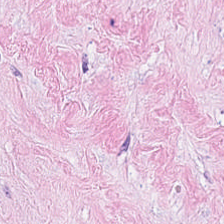H&E-stained tissue section. Impression — desmoplastic stroma.
